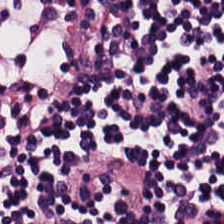Hematoxylin and eosin; WSI patch.
Tissue = lymphocyte aggregate.
